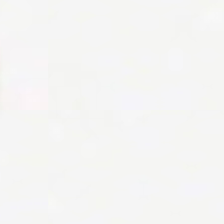Hematoxylin and eosin.
Q: Classify this patch.
A: The field shows background.
